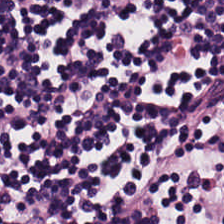WSI patch · hematoxylin and eosin — The predominant tissue is lymphocytic infiltrate.
